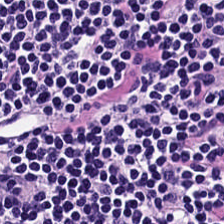Stain: hematoxylin and eosin.
Tissue type: lymphocytic infiltrate.
